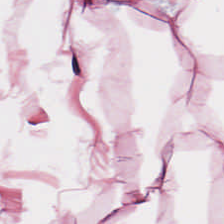H&E-stained tissue section. The tissue is adipose.
